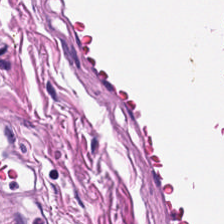H&E-stained tissue section.
The tissue here is muscularis.
